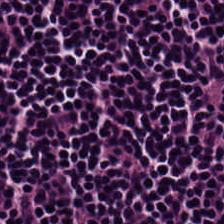H&E-stained tissue section.
{"tissue_type": "lymphoid infiltrate"}
